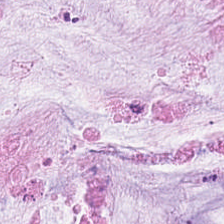Hematoxylin-and-eosin stained section. Mucus.
